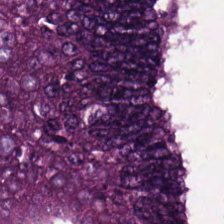H&E-stained tissue section. 20× equivalent magnification — The tissue here is colorectal adenocarcinoma epithelium.
